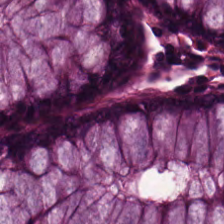Stain: hematoxylin-and-eosin stained section.
Predominant tissue: benign colonic mucosa.
